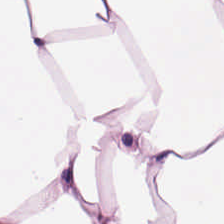H&E-stained tissue section — {"tissue_type": "adipocytes"}
